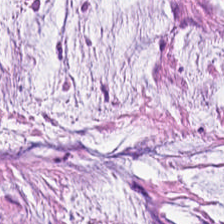Hematoxylin and eosin.
Tissue class: mucus.
